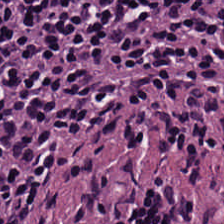H&E stain. 224×224 px tile. Lymphocytes.
